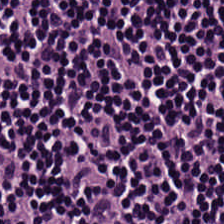224×224 px patch. H&E-stained tissue section.
Classification: lymphocytes.
